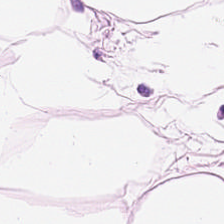Stain: hematoxylin-and-eosin stained section.
Preparation: FFPE.
Predominant tissue: adipocytes.
